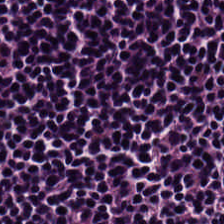H&E-stained tissue section. The tissue class is lymphocytic infiltrate.
